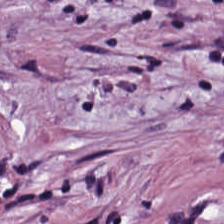H&E-stained tissue section · 224×224 px tile — Predominantly tumor-associated stroma.
